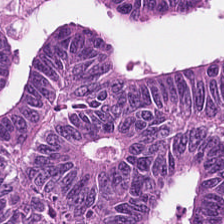Hematoxylin-and-eosin stained section.
Classification: colorectal adenocarcinoma epithelium.
